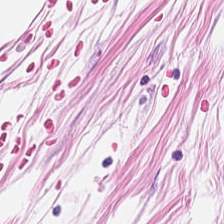H&E stain. Q: What does this patch show?
A: Adipose tissue.
